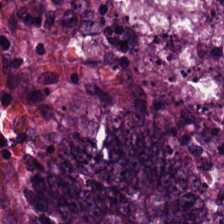Tissue: malignant epithelium.
